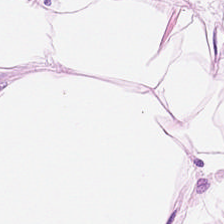Hematoxylin and eosin — This field is fat tissue.
